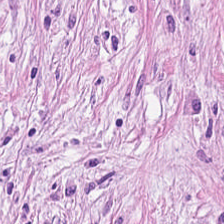Stain: H&E stain.
Resolution: 20× equivalent magnification.
Acquisition: brightfield microscopy.
Tissue type: tumor stroma.
